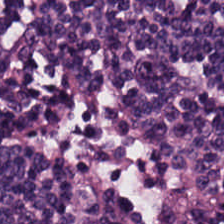0.5 µm/px. 224×224 px patch. Hematoxylin and eosin. Lymphocyte aggregate.
